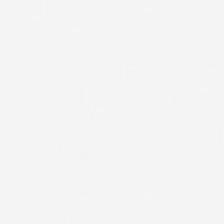This patch shows no tissue.
